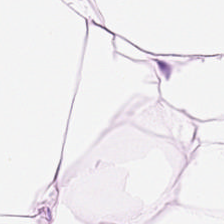Hematoxylin and eosin. FFPE. 0.5 µm per pixel. This patch shows adipose tissue.
